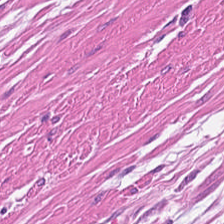Hematoxylin and eosin.
Showing muscularis.
